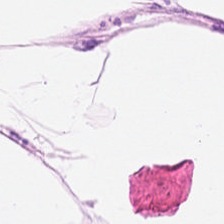H&E stain.
This patch shows adipocytes.
